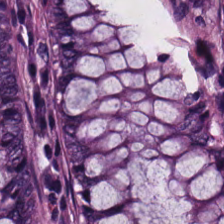WSI patch · hematoxylin and eosin. Q: What type of tissue is this?
A: It is non-neoplastic colon mucosa.
